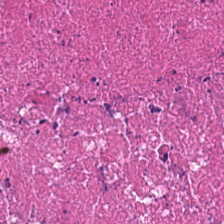H&E stain. The tissue here is debris.
